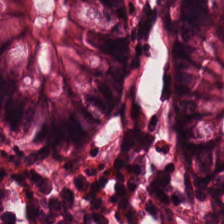H&E-stained tissue section — Q: What is shown in this field?
A: This is normal colon mucosa.
